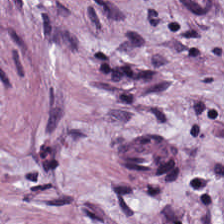H&E-stained tissue section. Whole-slide-image patch — This patch shows desmoplastic stroma.
